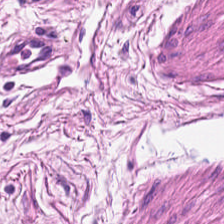Hematoxylin and eosin · 0.5 microns per pixel. This field is muscularis.
